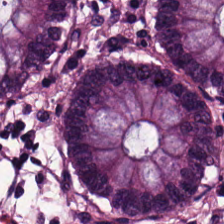Stain: H&E stain.
Tissue type: normal colonic mucosa.
